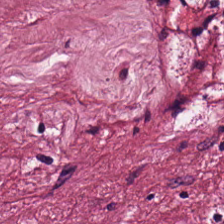224×224 px tile; H&E stain. Showing cancer-associated stroma.
